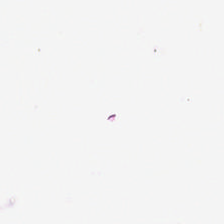Hematoxylin and eosin.
No tissue present; background only.
